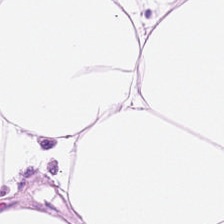FFPE tissue section. Hematoxylin-and-eosin stained section. Q: Identify the tissue.
A: The field shows adipose tissue.
